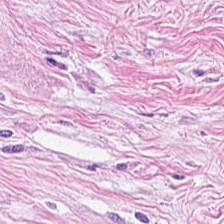Q: What tissue is shown?
A: The field shows tumor stroma.
